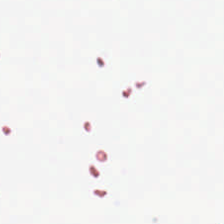0.5 µm/px · H&E.
This patch shows no tissue.
